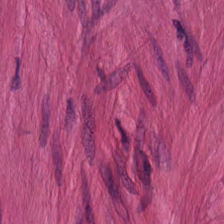FFPE tissue section · hematoxylin-and-eosin stained section. Tissue class — smooth muscle.
